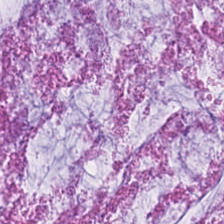Hematoxylin and eosin. This patch shows mucin.
